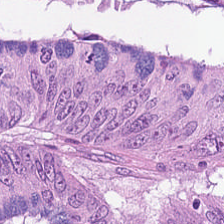224×224 px patch. Hematoxylin and eosin.
The tissue here is malignant epithelium.
